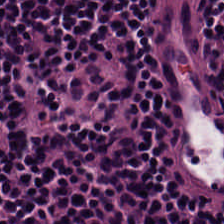Formalin-fixed paraffin-embedded section; hematoxylin-and-eosin stained section. Histology — lymphocytic infiltrate.
